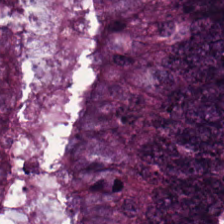H&E; WSI patch — Malignant epithelium.
